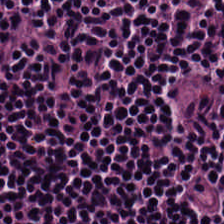Hematoxylin and eosin — This field is lymphocyte aggregate.
